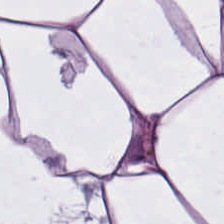The classification is adipose.
